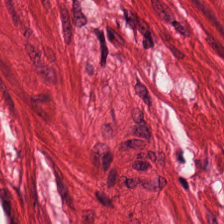Hematoxylin and eosin — Predominant tissue: smooth-muscle tissue.
